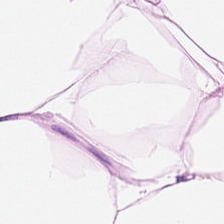{"tissue_type": "fat tissue"}
